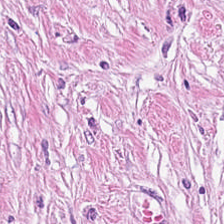{"tissue_type": "cancer-associated stroma"}
